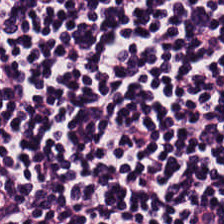Hematoxylin-and-eosin stained section.
This field is lymphocytes.
